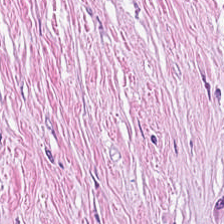224×224 pixel tile; H&E stain — Q: What is the predominant tissue type?
A: It is cancer-associated stroma.
